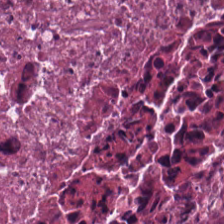H&E-stained tissue section. Debris.
